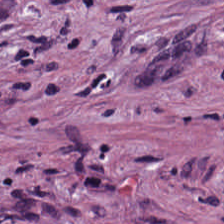H&E-stained section; the field shows cancer-associated stroma.
